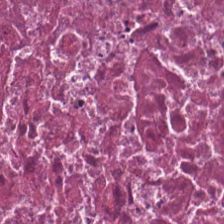Hematoxylin-and-eosin stained section.
This field is debris.
